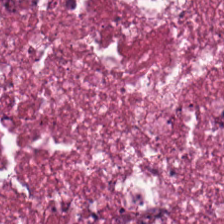Stain: hematoxylin and eosin.
Predominant tissue: cellular debris.
